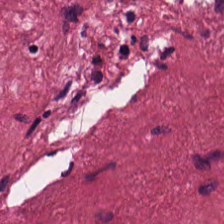The classification is tumor-associated stroma.
